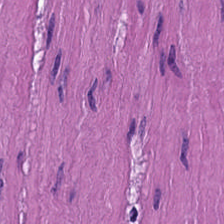224×224 pixel tile. H&E stain. 0.5 µm/px. Q: Identify the tissue.
A: The field shows smooth-muscle tissue.
